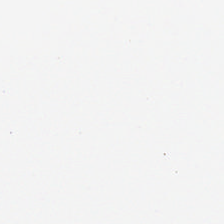H&E stain · 0.5 µm/px. {"content": "background"}
